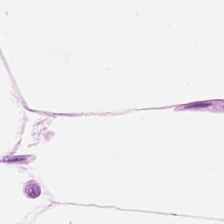Q: What is shown in this field?
A: It is adipose.
